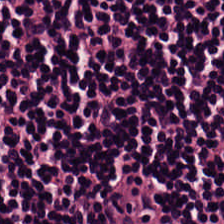Formalin-fixed paraffin-embedded section; hematoxylin-and-eosin stained section; 224×224 px patch. Tissue = lymphocyte aggregate.
